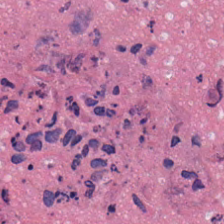{"tissue_type": "cellular debris"}
